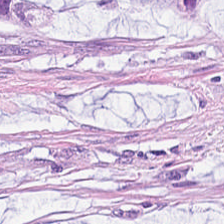Tissue class — extracellular mucin.
